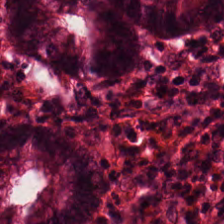The classification is non-neoplastic colon mucosa.
